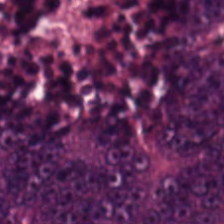H&E stain. Q: What does this patch show?
A: The field shows colorectal adenocarcinoma.
